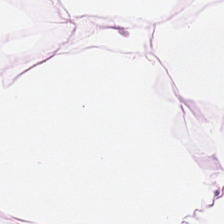0.5 µm/px; H&E-stained tissue section — Showing adipocytes.
